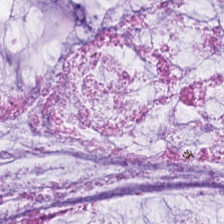Hematoxylin-and-eosin stained section — Q: Classify this patch.
A: Mucin.
